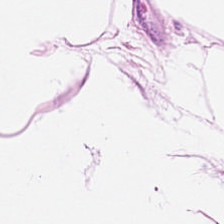This patch shows adipose.
